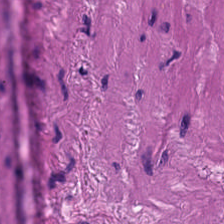Stain: H&E-stained tissue section.
Tissue class: muscularis.
